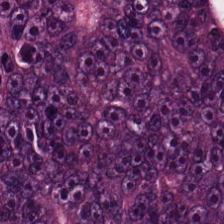H&E stain — Predominantly colorectal adenocarcinoma epithelium.
